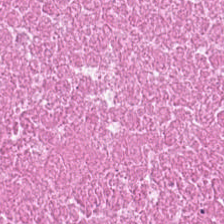H&E stain. The classification is cellular debris.
